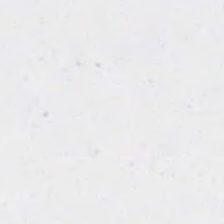Stain: hematoxylin and eosin.
Classification: background.
